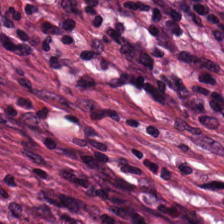Stain: H&E.
Tissue class: desmoplastic stroma.
